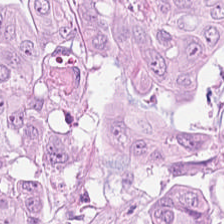Hematoxylin-and-eosin stained section. 0.5 microns per pixel. The tissue type is adenocarcinoma.
